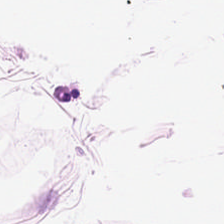20× equivalent magnification · hematoxylin-and-eosin stained section. Q: What tissue is shown?
A: This is adipose.
